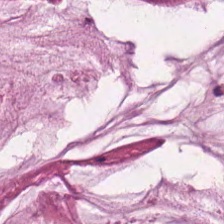Whole-slide-image patch. 0.5 µm/px. H&E stain. This field is mucus.
